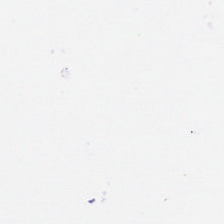FFPE tissue section · H&E stain · whole-slide-image patch. Field content — no tissue.
